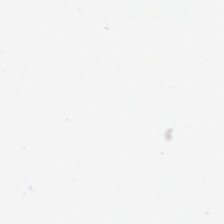0.5 µm per pixel · FFPE · hematoxylin and eosin — {"content": "empty background"}
